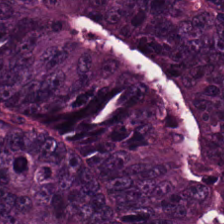H&E stain. FFPE tissue section — Colorectal adenocarcinoma epithelium.
